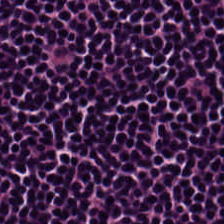Hematoxylin and eosin · 224×224 pixel tile.
Histology → lymphocytic infiltrate.
